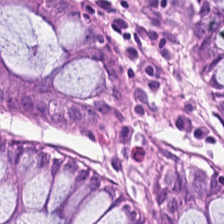Stain: hematoxylin and eosin.
Tissue class: benign colonic mucosa.
